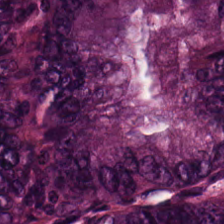Hematoxylin-and-eosin stained section. 224×224 pixel tile. 0.5 microns per pixel. The predominant tissue is malignant epithelium.
